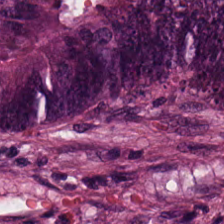This patch shows colorectal adenocarcinoma.
